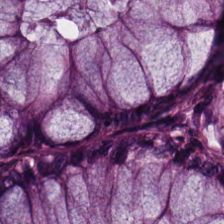Hematoxylin and eosin. Showing benign colonic mucosa.
